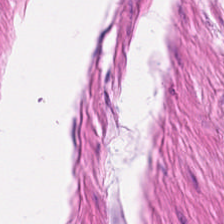The predominant tissue is muscularis.
